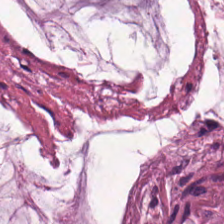Hematoxylin-and-eosin stained section; FFPE.
{"tissue_type": "mucus"}
